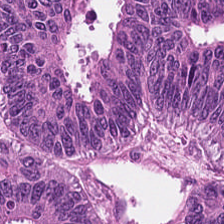Formalin-fixed paraffin-embedded section · H&E. Colorectal adenocarcinoma epithelium.
